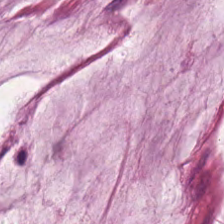H&E · whole-slide-image patch. Predominantly mucus.
